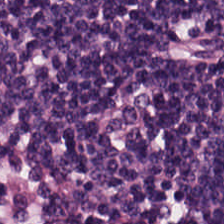H&E-stained tissue section — Predominant tissue = lymphocytic infiltrate.
